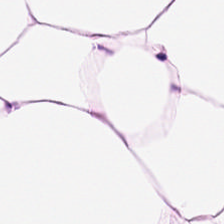224×224 px tile; H&E-stained tissue section.
Q: Classify this patch.
A: The field shows adipose tissue.
